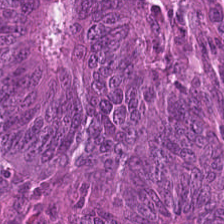H&E-stained tissue section · 224×224 pixel tile. Q: What type of tissue is this?
A: Tumor epithelium.
